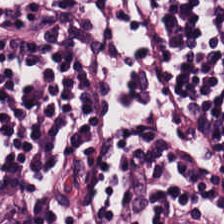H&E — lymphocyte aggregate.
